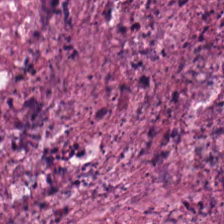224×224 px tile · H&E · 20× equivalent magnification.
{"tissue_type": "cellular debris"}
